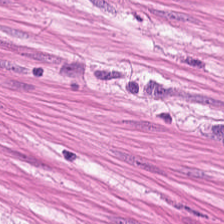Q: What is shown here?
A: The field shows smooth-muscle tissue.
